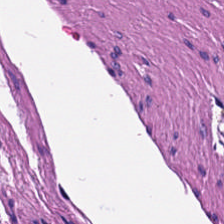H&E-stained tissue section · 224×224 px tile. {"tissue_type": "smooth muscle"}
